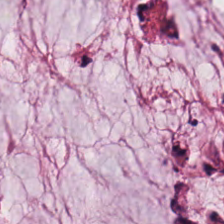Stain: H&E.
Preparation: formalin-fixed paraffin-embedded section.
Tissue type: mucin.
